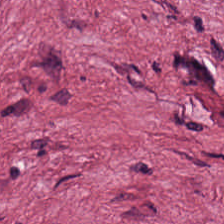0.5 microns per pixel; H&E stain.
Tumor-associated stroma.
